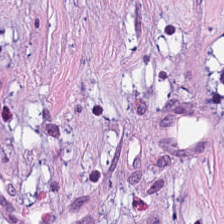Hematoxylin-and-eosin stained section.
This patch shows tumor stroma.
